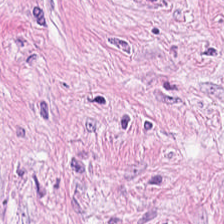FFPE tissue section; hematoxylin-and-eosin stained section. This patch shows tumor stroma.
